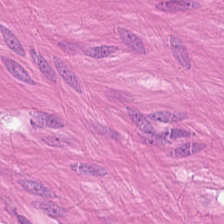Q: What is the predominant tissue type?
A: It is muscularis.
